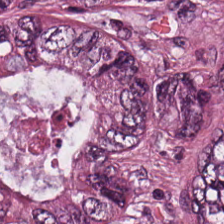H&E stain.
Q: Identify the tissue.
A: This is malignant epithelium.
